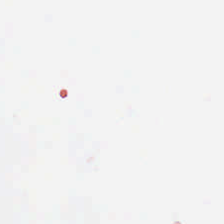224×224 px tile. Hematoxylin-and-eosin stained section. 0.5 µm per pixel — This field is background (no tissue).
